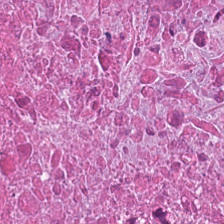Hematoxylin-and-eosin stained section — The tissue class is debris.
